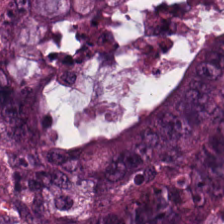Predominantly malignant epithelium.
